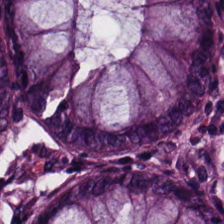H&E-stained tissue section. Histology → normal colonic mucosa.
